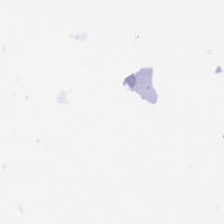Stain: hematoxylin-and-eosin stained section.
Field content: background.
